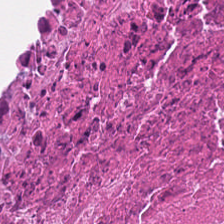Stain: H&E-stained tissue section.
Preparation: FFPE tissue section.
Predominant tissue: necrotic debris.
